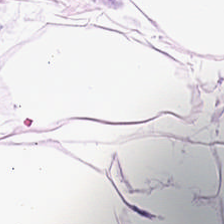Hematoxylin-and-eosin stained section.
The tissue here is adipocytes.
